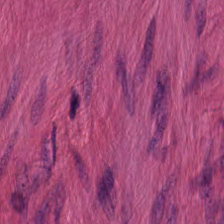Finding → muscularis.
